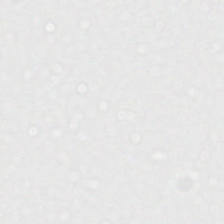Q: What is shown in this field?
A: It is background (no tissue).
